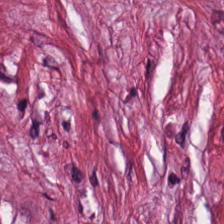H&E-stained tissue section. Formalin-fixed paraffin-embedded section.
{"tissue_type": "tumor stroma"}
